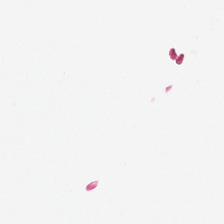H&E · formalin-fixed paraffin-embedded section.
Classification: empty background.
